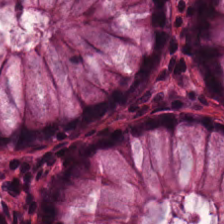Hematoxylin-and-eosin stained section.
The tissue here is normal colonic mucosa.
